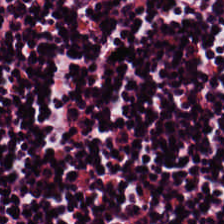H&E-stained tissue section.
Q: What is the predominant tissue type?
A: This is lymphocytic infiltrate.
